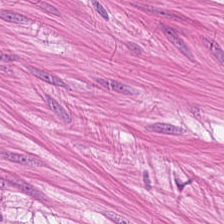H&E — This patch shows smooth-muscle tissue.
